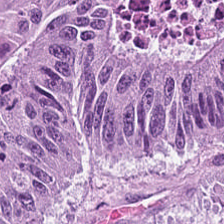Hematoxylin and eosin — Colorectal adenocarcinoma.
